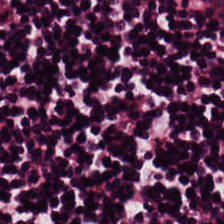Brightfield microscopy · H&E stain. The classification is lymphocytes.
